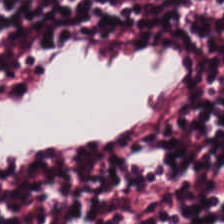H&E stain. {"tissue_type": "lymphocytic infiltrate"}
